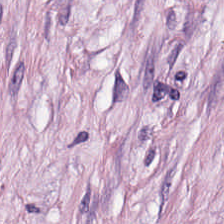The predominant tissue is cancer-associated stroma.
